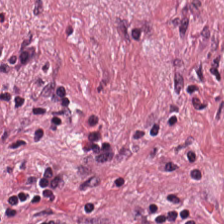Q: What is shown here?
A: This is cancer-associated stroma.
